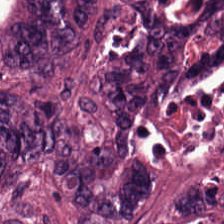H&E-stained tissue section. 0.5 µm/px. FFPE. This field is malignant epithelium.
